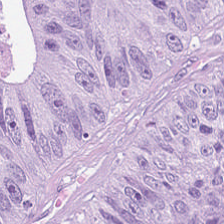H&E stain — Tissue = colorectal adenocarcinoma.
